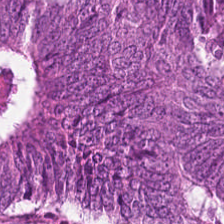H&E-stained tissue section. {"tissue_type": "tumor epithelium"}
